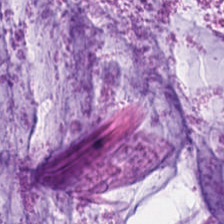Whole-slide-image patch · H&E · 20× equivalent magnification.
The tissue here is mucin.
